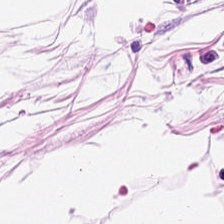Hematoxylin and eosin — Impression → adipose.
